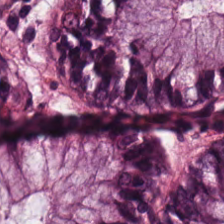Brightfield microscopy; hematoxylin and eosin. Impression — normal colon mucosa.
